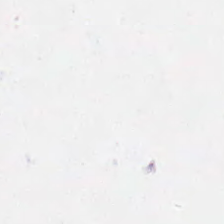Q: What is shown in this field?
A: The field shows background (no tissue).
